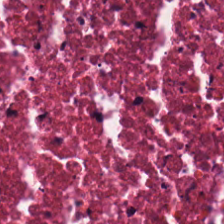H&E — This field is cellular debris.
